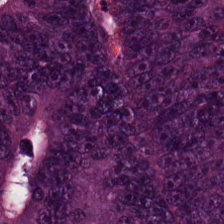Hematoxylin-and-eosin stained section. WSI patch. Tissue type = malignant epithelium.
